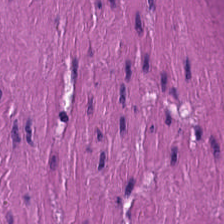Stain: H&E stain.
Preparation: FFPE.
Tissue type: muscularis.
